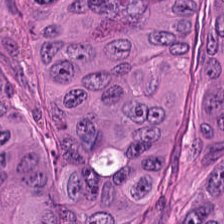Hematoxylin-and-eosin stained section; 0.5 µm per pixel. Tissue type = colorectal adenocarcinoma epithelium.
